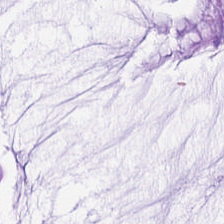H&E-stained tissue section · 0.5 microns per pixel · 224×224 pixel tile — Tissue class: extracellular mucin.
